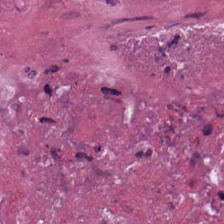Formalin-fixed paraffin-embedded section; H&E-stained tissue section. Showing cellular debris.
